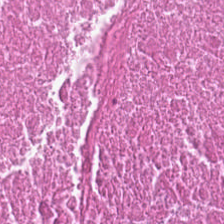Stain: hematoxylin and eosin.
Tissue type: necrotic debris.
